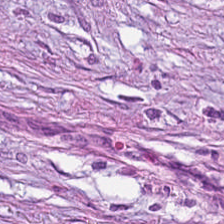Hematoxylin-and-eosin stained section.
This field is desmoplastic stroma.
